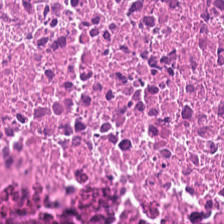Stain: hematoxylin-and-eosin stained section.
Classification: cellular debris.
